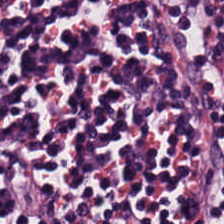Q: What tissue is shown?
A: The field shows lymphoid infiltrate.
